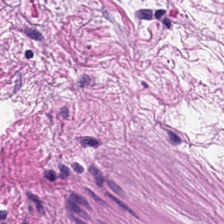224×224 px patch; brightfield; H&E — Showing smooth-muscle tissue.
